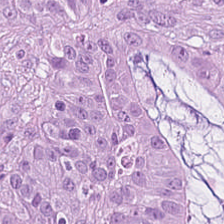H&E stain; whole-slide-image patch.
Q: What is shown here?
A: The field shows malignant epithelium.
